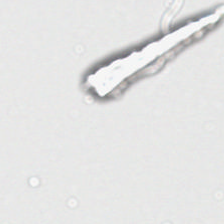The classification is empty background.
